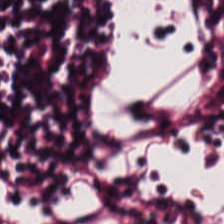Impression → lymphocyte aggregate.
